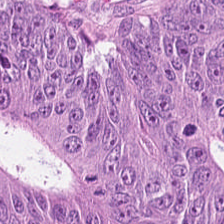H&E stain — Q: What type of tissue is this?
A: The field shows colorectal adenocarcinoma epithelium.
